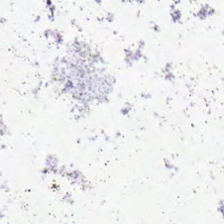Stain: H&E-stained tissue section.
Classification: empty background.
